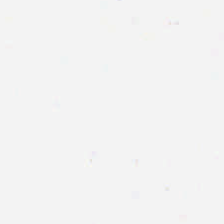0.5 microns per pixel · 224×224 px tile · H&E stain. Field content — empty background.
